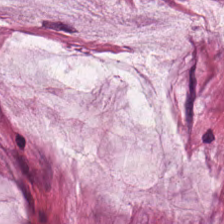H&E. 224×224 pixel tile. This patch shows extracellular mucin.
